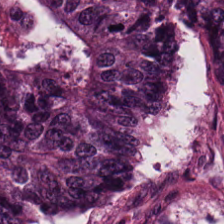Hematoxylin and eosin — Q: What does this patch show?
A: Malignant epithelium.
